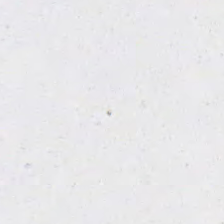Stain: H&E stain.
Content: background.
